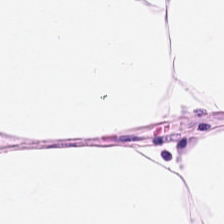FFPE tissue section; H&E; 20× equivalent magnification. Showing adipose.
